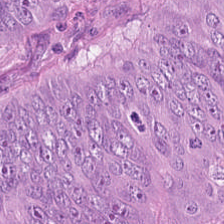Brightfield microscopy · hematoxylin and eosin. This patch shows tumor epithelium.
